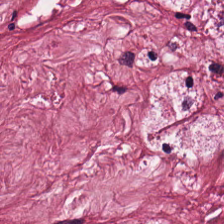FFPE tissue section · 224×224 px tile · H&E stain. Q: What tissue type is shown here?
A: This is desmoplastic stroma.
